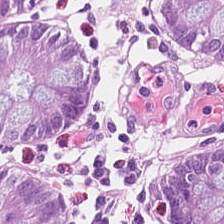H&E-stained section; the field shows benign colonic mucosa.
